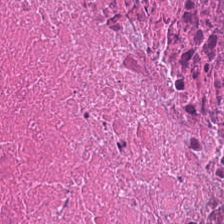H&E stain — The predominant tissue is necrotic debris.
